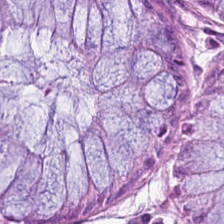H&E stain; 224×224 px tile. Q: What tissue type is shown here?
A: It is benign colonic mucosa.
